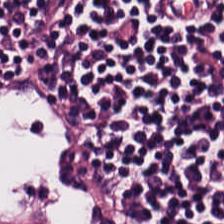Hematoxylin-and-eosin stained section · 224×224 pixel tile. This patch shows lymphocyte aggregate.
